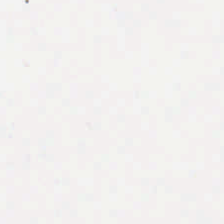Field content: background.
